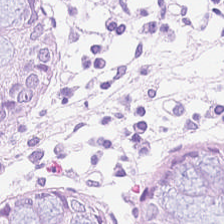H&E stain. 0.5 µm per pixel — Tissue type — normal colon mucosa.
